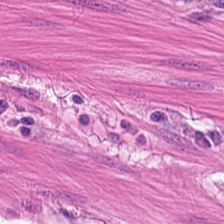H&E-stained section; the field shows smooth-muscle tissue.
